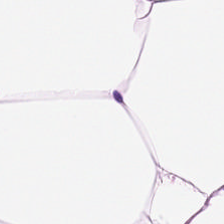Tissue — fat tissue.
